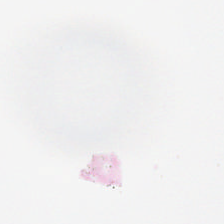H&E stain.
Background.
